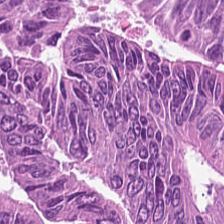{"tissue_type": "tumor epithelium"}
